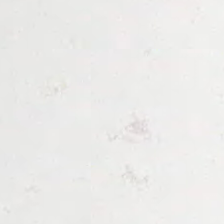This patch shows background (no tissue).
